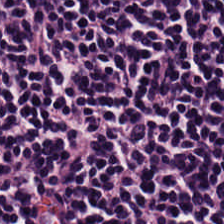H&E-stained tissue section · formalin-fixed paraffin-embedded section.
Lymphocytes.
